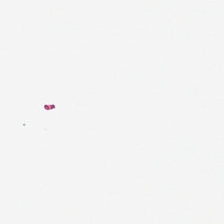Background — no tissue in this field.
